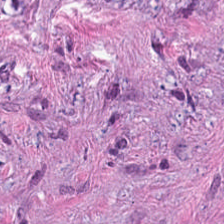H&E stain.
Q: What tissue is shown?
A: It is tumor stroma.
